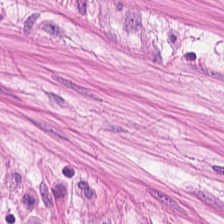FFPE · brightfield microscopy · H&E stain. Tissue — muscularis.
